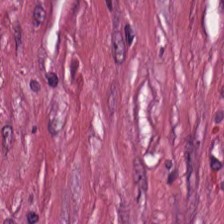Hematoxylin and eosin. FFPE. Brightfield microscopy. Predominantly desmoplastic stroma.
